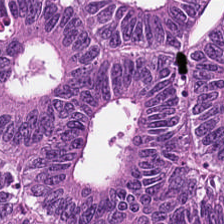Hematoxylin and eosin. Classification: colorectal adenocarcinoma.
